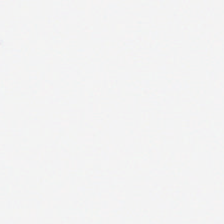H&E-stained tissue section. Finding — adipose.
